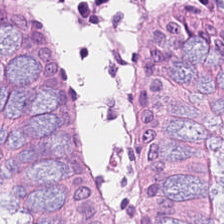Hematoxylin and eosin. Q: What tissue is shown?
A: Non-neoplastic colon mucosa.
